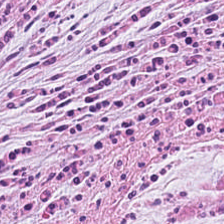Showing tumor stroma.
